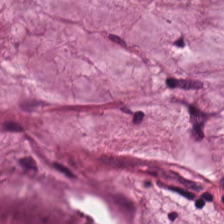H&E-stained tissue section. Predominant tissue: mucin.
